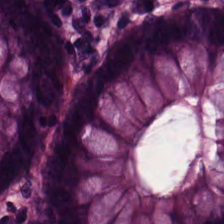H&E-stained tissue section. Brightfield — Showing benign colonic mucosa.
